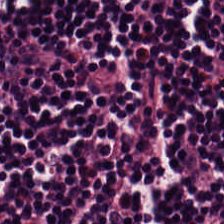Hematoxylin and eosin — Q: What is shown in this field?
A: This is lymphocytic infiltrate.
